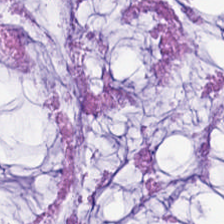Impression — extracellular mucin.
